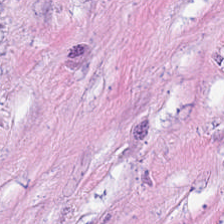H&E stain. 224×224 pixel tile. This field is tumor stroma.
